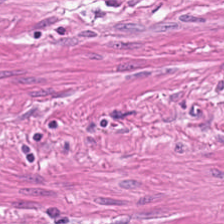Finding — muscularis.
